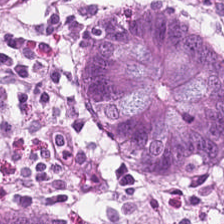H&E.
Showing normal colon mucosa.
